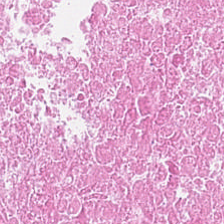Whole-slide-image patch; 0.5 µm/px; hematoxylin-and-eosin stained section — Q: What tissue is shown?
A: This is debris.
